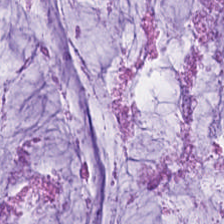Hematoxylin-and-eosin stained section. Whole-slide-image patch. 0.5 µm/px. The predominant tissue is mucus.
